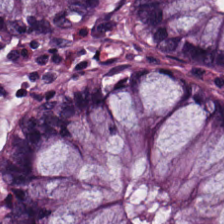Predominantly non-neoplastic colon mucosa.
